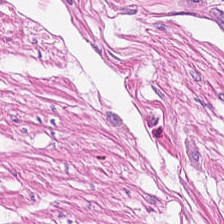Stain: H&E stain.
Predominant tissue: muscularis.
